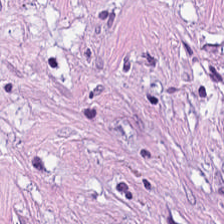H&E.
The tissue here is cancer-associated stroma.
